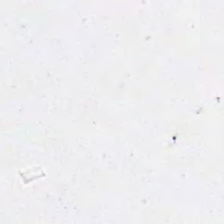Field content: background.
